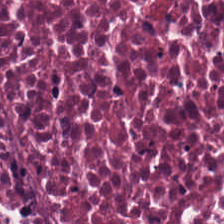Stain: H&E.
Classification: debris.
